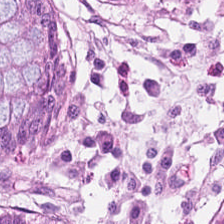224×224 pixel tile; hematoxylin and eosin — Histology → normal colon mucosa.
